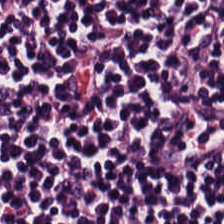H&E stain · 224×224 px tile.
{"tissue_type": "lymphoid infiltrate"}
